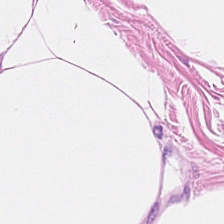224×224 px tile; H&E.
Finding — adipose tissue.
